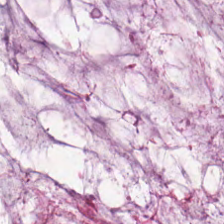H&E stain. The predominant tissue is mucin.
